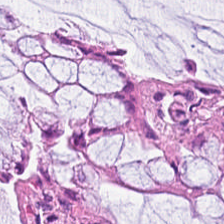Stain: hematoxylin-and-eosin stained section.
Tissue class: benign colonic mucosa.
